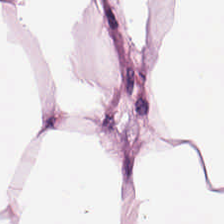Predominantly adipose.
